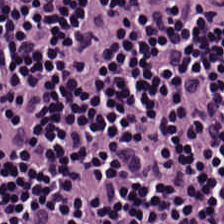Brightfield microscopy. H&E. 0.5 µm per pixel. Q: What is shown in this field?
A: This is lymphocytes.
